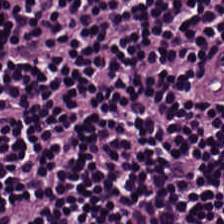Classification: lymphocytes.
